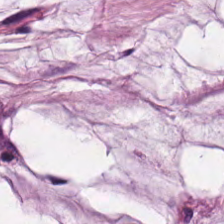Classification = extracellular mucin.
